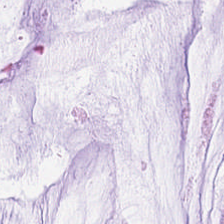Hematoxylin-and-eosin stained section.
The tissue type is mucin.
